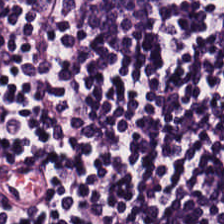H&E-stained tissue section · WSI patch.
Predominant tissue — lymphoid infiltrate.
